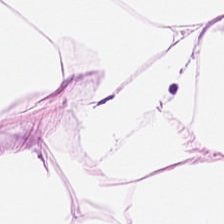Hematoxylin and eosin. Fat tissue.
